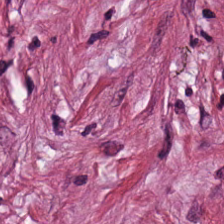Finding — tumor-associated stroma.
